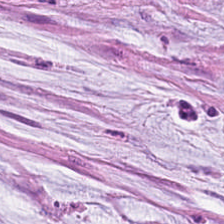Histology → mucus.
